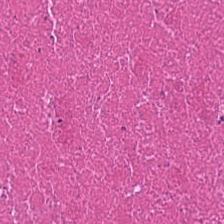Necrotic debris.
